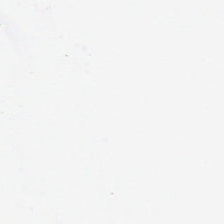H&E — Empty field — no tissue.
